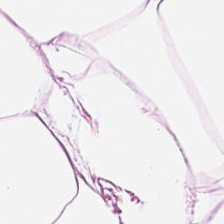Whole-slide-image patch; H&E stain.
Q: What is the predominant tissue type?
A: Adipose tissue.
